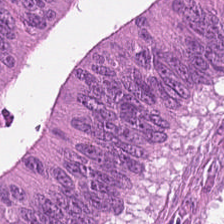Adenocarcinoma.
